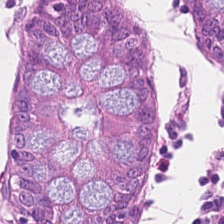Hematoxylin and eosin; FFPE tissue section. The tissue here is normal colonic mucosa.
